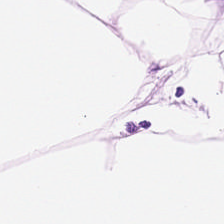FFPE; hematoxylin-and-eosin stained section — The tissue class is fat tissue.
